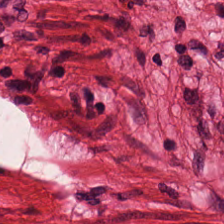H&E.
Q: What is shown in this field?
A: It is smooth muscle.
